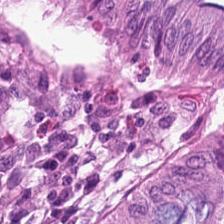The predominant tissue is non-neoplastic colon mucosa.
